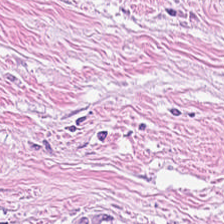Hematoxylin-and-eosin section: cancer-associated stroma.
